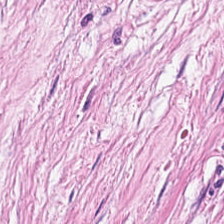Whole-slide-image patch. H&E stain. 0.5 µm/px.
This field is cancer-associated stroma.
